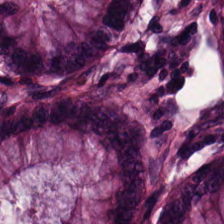H&E-stained tissue section. Non-neoplastic colon mucosa.
